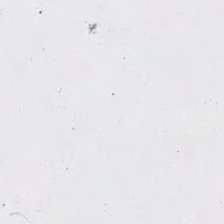Impression — no tissue.
